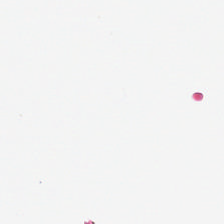Stain: H&E-stained tissue section.
Classification: no tissue.
